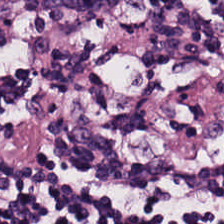20× equivalent magnification · hematoxylin and eosin · WSI patch — Lymphocyte aggregate.
